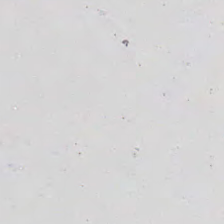Content = background (no tissue).
